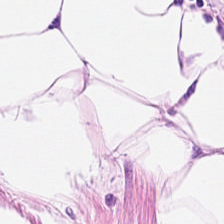This patch shows adipose tissue.
